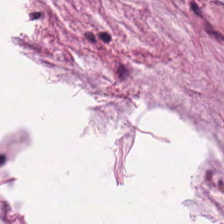H&E-stained tissue section.
The tissue here is mucin.
